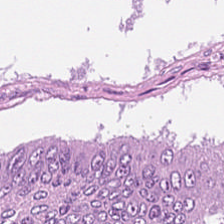H&E-stained tissue section showing colorectal adenocarcinoma epithelium.
